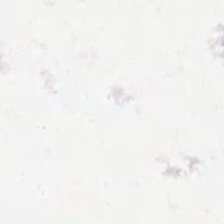Hematoxylin and eosin. Background — no tissue in this field.
